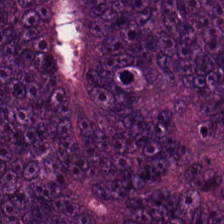Stain: H&E.
Tissue: colorectal adenocarcinoma epithelium.
